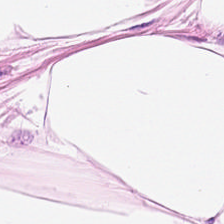224×224 px tile · H&E stain · whole-slide-image patch.
The predominant tissue is adipocytes.
